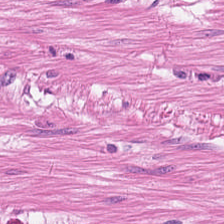Classification = smooth-muscle tissue.
